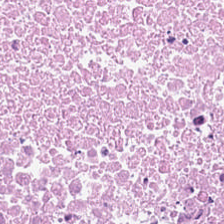Formalin-fixed paraffin-embedded section · H&E — This field is debris.
